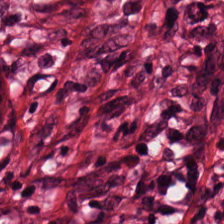H&E-stained tissue section.
Predominantly desmoplastic stroma.
